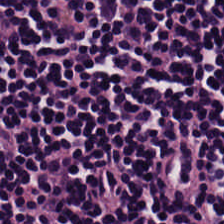H&E.
The tissue is lymphocytic infiltrate.
